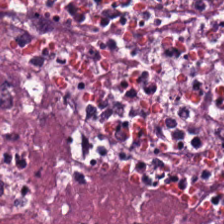0.5 microns per pixel. Brightfield. H&E.
Showing necrotic debris.
